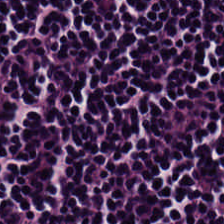Classification: lymphocytes.
